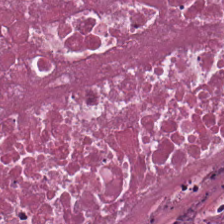H&E-stained tissue section. This patch shows debris.
